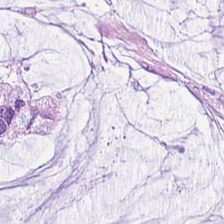Brightfield; H&E stain. This field is mucus.
